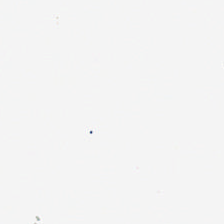Hematoxylin and eosin · 0.5 µm per pixel · whole-slide-image patch.
{"content": "empty background"}
